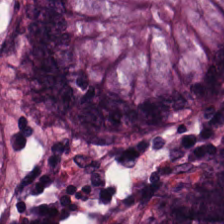Hematoxylin and eosin. Predominant tissue — normal colonic mucosa.
